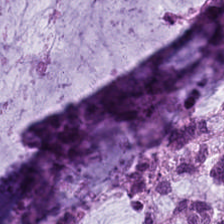H&E.
Finding → mucin.
